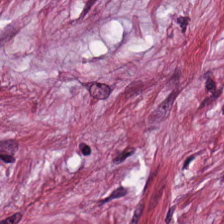Q: Identify the tissue.
A: Cancer-associated stroma.
